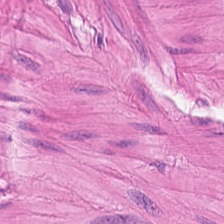Stain: H&E stain.
Preparation: FFPE.
Acquisition: brightfield microscopy.
Classification: muscularis.
